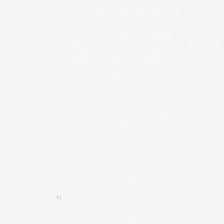Stain: hematoxylin-and-eosin stained section.
Preparation: formalin-fixed paraffin-embedded section.
Resolution: 0.5 microns per pixel.
Content: background (no tissue).
